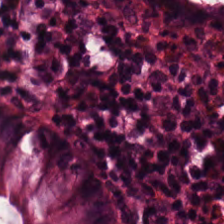Hematoxylin-and-eosin stained section — This patch shows non-neoplastic colon mucosa.
